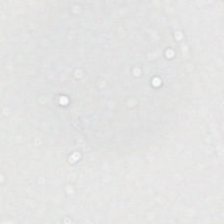Classification = empty background.
